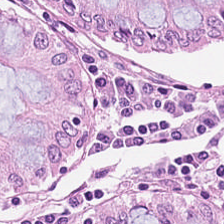FFPE; H&E.
The predominant tissue is normal colon mucosa.
